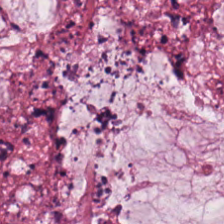FFPE; H&E.
The predominant tissue is mucus.
